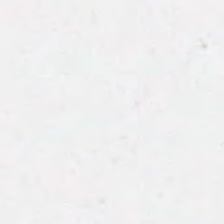H&E.
Empty field — empty background.
